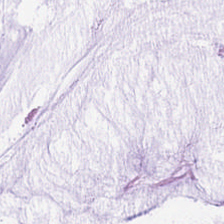Predominantly extracellular mucin.
